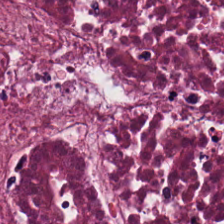Stain: H&E.
Tissue: cellular debris.
